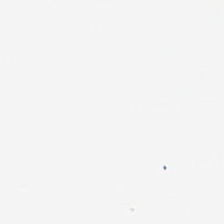Stain: hematoxylin and eosin.
Content: background (no tissue).
